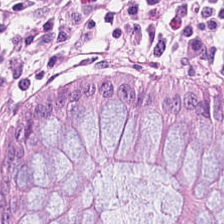Stain: H&E stain.
Classification: non-neoplastic colon mucosa.
